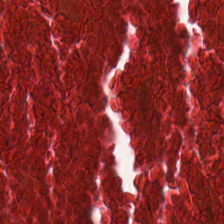Hematoxylin-and-eosin stained section — Q: What does this patch show?
A: Necrotic debris.
